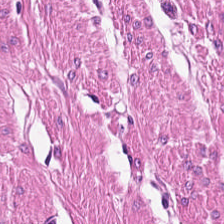Stain: H&E.
Tissue class: smooth muscle.
